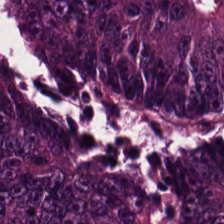Stain: hematoxylin-and-eosin stained section.
Tissue class: tumor epithelium.
